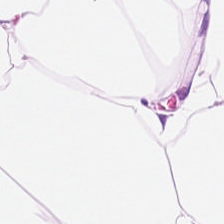H&E.
Predominantly fat tissue.
